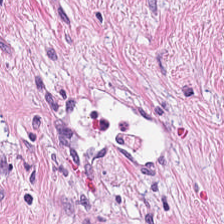H&E-stained tissue section · 224×224 px tile — Showing tumor-associated stroma.
